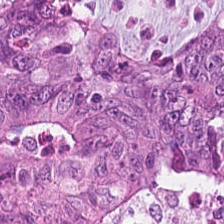H&E. 0.5 µm per pixel. Brightfield microscopy — Classification: malignant epithelium.
